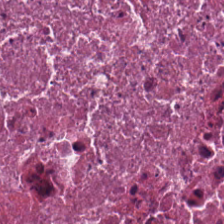Hematoxylin and eosin. Predominantly debris.
